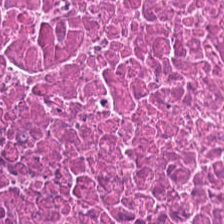H&E-stained tissue section.
Tissue: cellular debris.
